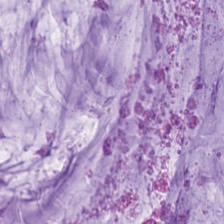Hematoxylin and eosin.
The tissue here is extracellular mucin.
